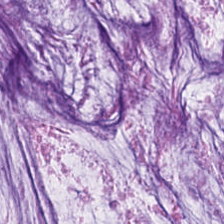Impression → mucus.
